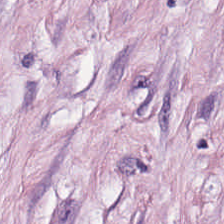H&E stain; brightfield — Q: What is shown in this field?
A: Tumor stroma.
